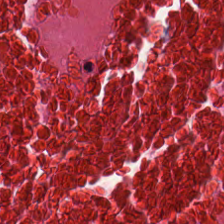Brightfield. H&E stain. FFPE — The predominant tissue is necrotic debris.
